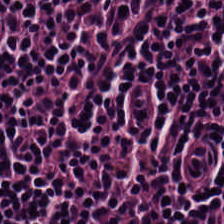Whole-slide-image patch; 224×224 px patch; hematoxylin-and-eosin stained section — Predominantly lymphocytic infiltrate.
